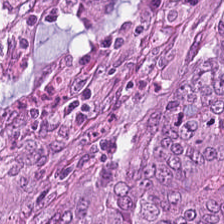Q: Identify the tissue.
A: This is malignant epithelium.
